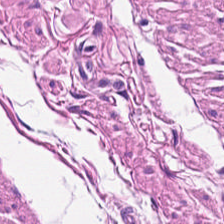Stain: H&E-stained tissue section.
Tissue type: muscularis.
